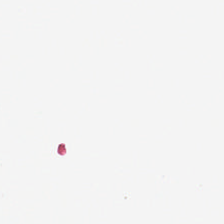H&E stain. Finding — empty background.
